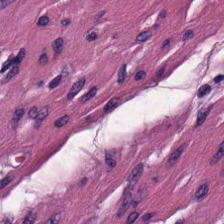H&E-stained tissue section — Q: What tissue is shown?
A: Smooth muscle.
